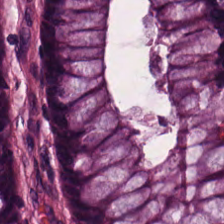Whole-slide-image patch · H&E stain. Tissue type: benign colonic mucosa.
